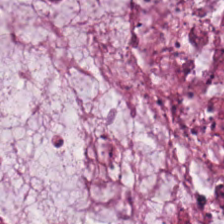20× equivalent magnification; brightfield microscopy; hematoxylin-and-eosin stained section — Impression — mucus.
